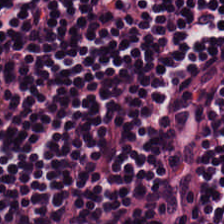Hematoxylin and eosin. Finding — lymphocyte aggregate.
